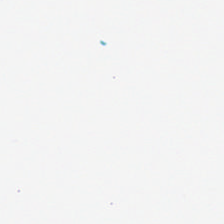H&E-stained tissue section.
{"content": "empty background"}
